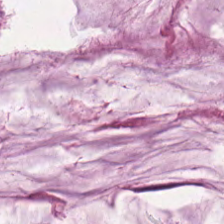Stain: H&E-stained tissue section.
Tissue class: extracellular mucin.
